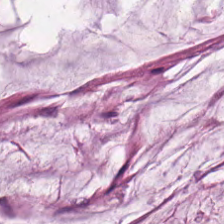Stain: H&E.
Acquisition: brightfield microscopy.
Tissue class: mucin.
